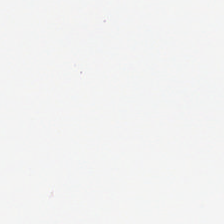Content — background (no tissue).
